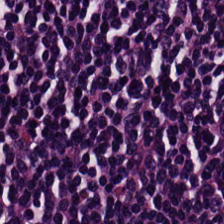H&E.
Lymphocyte aggregate.
